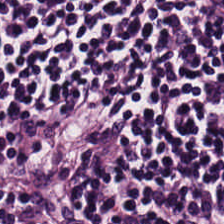Hematoxylin and eosin.
Showing lymphoid infiltrate.
